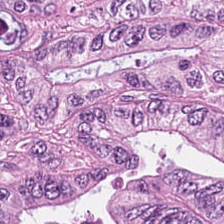H&E — {"tissue_type": "adenocarcinoma"}
